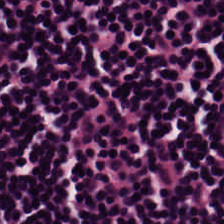Hematoxylin and eosin.
Lymphoid infiltrate.
